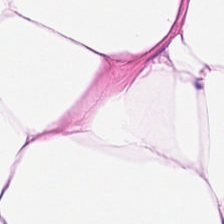Brightfield; H&E-stained tissue section.
The predominant tissue is adipocytes.
